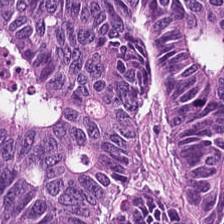224×224 px patch; H&E stain.
The predominant tissue is colorectal adenocarcinoma epithelium.
